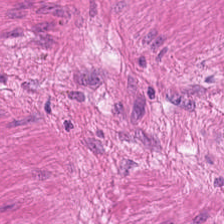WSI patch. Hematoxylin and eosin — This field is muscularis.
